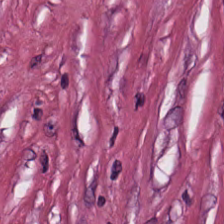H&E.
Showing tumor stroma.
